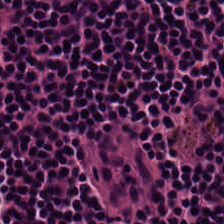H&E stain. 224×224 pixel tile. 20× equivalent magnification — The predominant tissue is lymphocyte aggregate.
